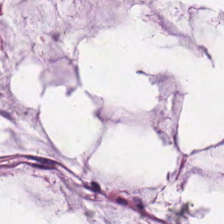Formalin-fixed paraffin-embedded section · hematoxylin and eosin · 224×224 px patch. Tissue = extracellular mucin.
